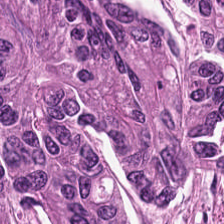0.5 µm per pixel. Hematoxylin-and-eosin stained section. Showing malignant epithelium.
